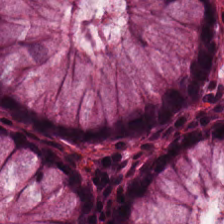Stain: H&E stain.
Acquisition: brightfield.
Tissue: normal colon mucosa.
